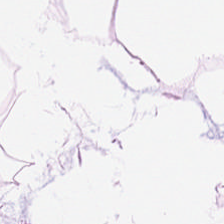H&E stain — Adipose tissue.
